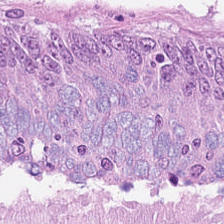Q: What type of tissue is this?
A: It is colorectal adenocarcinoma.
